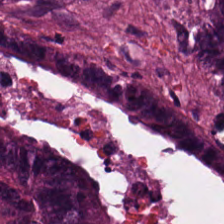H&E-stained tissue section. 20× equivalent magnification — Q: What does this patch show?
A: The field shows adenocarcinoma.
